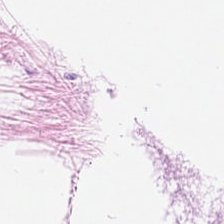WSI patch. Hematoxylin-and-eosin stained section — Q: What is shown here?
A: The field shows adipocytes.
